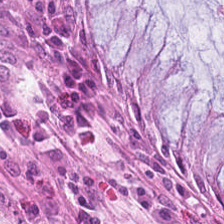WSI patch · hematoxylin-and-eosin stained section. Finding → normal colonic mucosa.
